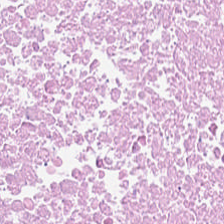This field is cellular debris.
